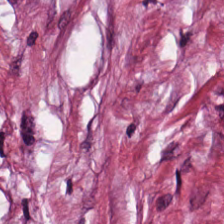Q: Classify this patch.
A: The field shows cancer-associated stroma.
